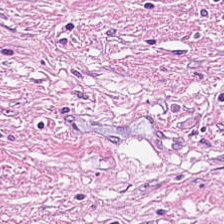224×224 px tile; 0.5 µm per pixel; H&E.
Tumor stroma.
